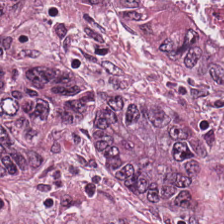H&E. Predominantly colorectal adenocarcinoma epithelium.
